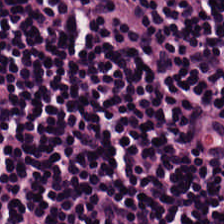H&E-stained tissue section showing lymphocytes.
